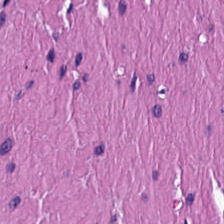Hematoxylin and eosin.
Tissue type = smooth-muscle tissue.
